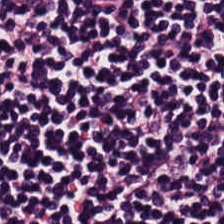Predominantly lymphocytic infiltrate.
